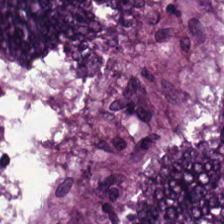H&E stain.
Finding → malignant epithelium.
